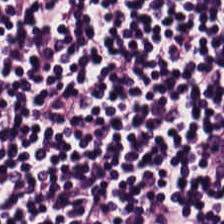Hematoxylin and eosin — The predominant tissue is lymphocyte aggregate.
